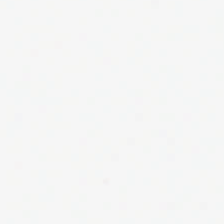Hematoxylin-and-eosin stained section — No tissue.
